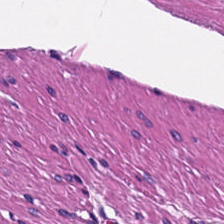Hematoxylin-and-eosin stained section — Predominantly smooth muscle.
